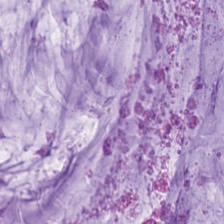Tissue class = extracellular mucin.
